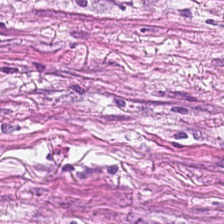224×224 pixel tile · H&E stain. The tissue here is desmoplastic stroma.
